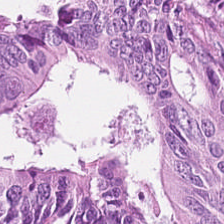H&E.
Q: What is shown in this field?
A: Colorectal adenocarcinoma.
